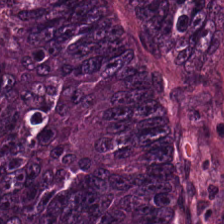Hematoxylin and eosin — Predominant tissue: colorectal adenocarcinoma epithelium.
